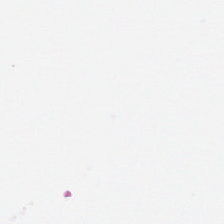No tissue present; background only.
